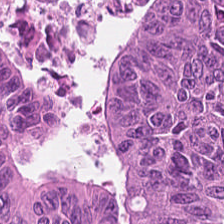H&E.
Predominant tissue = tumor epithelium.
